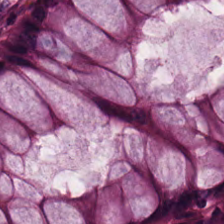Hematoxylin-and-eosin stained section; 224×224 px patch — This patch shows non-neoplastic colon mucosa.
